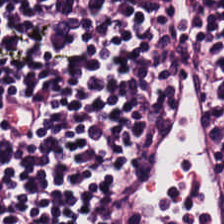H&E stain; brightfield microscopy; 0.5 µm per pixel. Q: What tissue type is shown here?
A: This is lymphoid infiltrate.
